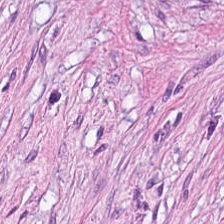H&E stain — The tissue class is cancer-associated stroma.
